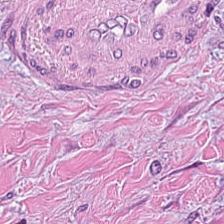H&E.
Q: Identify the tissue.
A: This is tumor stroma.
